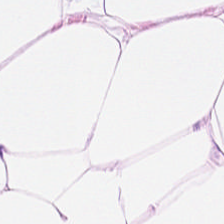Q: Identify the tissue.
A: This is adipose tissue.
